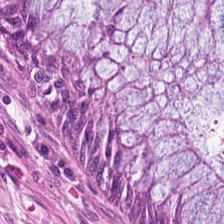224×224 pixel tile · whole-slide-image patch · H&E stain.
The tissue here is normal colonic mucosa.
